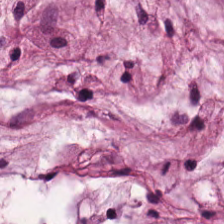Tissue type = mucin.
